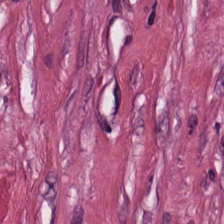Q: Classify this patch.
A: This is cancer-associated stroma.
